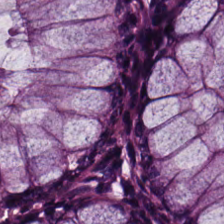H&E stain.
Tissue class — non-neoplastic colon mucosa.
